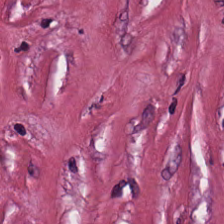224×224 px patch; formalin-fixed paraffin-embedded section; H&E. Tissue type: tumor-associated stroma.
